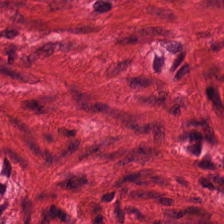Hematoxylin and eosin. Whole-slide-image patch. 0.5 microns per pixel. Predominantly smooth muscle.
